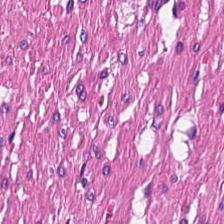0.5 µm per pixel. Hematoxylin and eosin — This patch shows smooth-muscle tissue.
